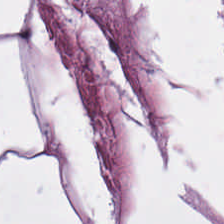H&E stain — Q: What tissue is shown?
A: The field shows adipose tissue.
